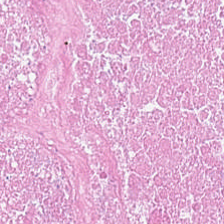Hematoxylin and eosin. Finding — necrotic debris.
